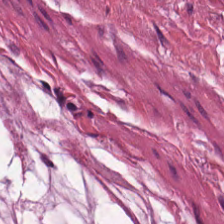H&E. {"tissue_type": "mucus"}
